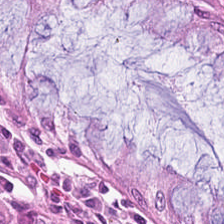H&E stain. Q: What tissue is shown?
A: The field shows benign colonic mucosa.
